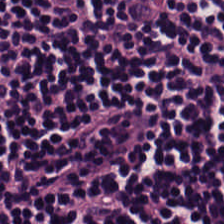Q: What is the predominant tissue type?
A: Lymphocytic infiltrate.
